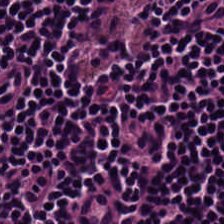224×224 pixel tile · H&E-stained tissue section — The predominant tissue is lymphocytic infiltrate.
